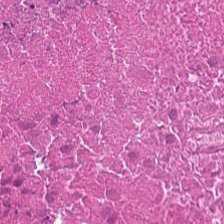224×224 px patch · hematoxylin-and-eosin stained section. The predominant tissue is cellular debris.
